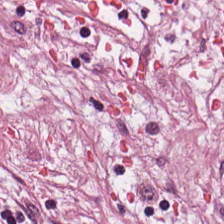Brightfield; hematoxylin-and-eosin stained section. This field is desmoplastic stroma.
